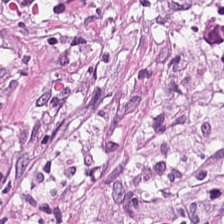Formalin-fixed paraffin-embedded section. H&E-stained tissue section — This field is tumor-associated stroma.
